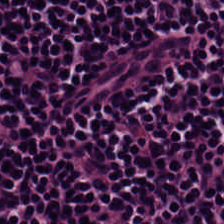0.5 µm per pixel; H&E — Tissue type: lymphocytic infiltrate.
